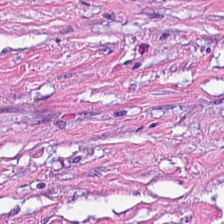H&E-stained tissue section; 0.5 µm per pixel; 224×224 pixel tile.
Tissue = tumor-associated stroma.
